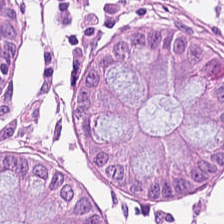H&E-stained section; the field shows benign colonic mucosa.
